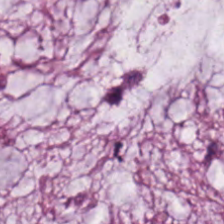Hematoxylin-and-eosin stained section.
Classification = mucin.
